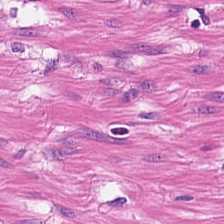Finding → muscularis.
